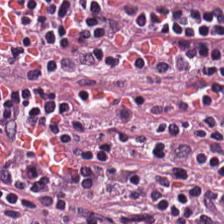Q: What is the predominant tissue type?
A: It is lymphocytes.
